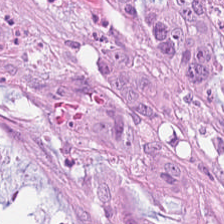Brightfield microscopy; H&E.
This patch shows tumor epithelium.
